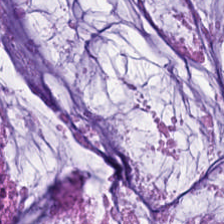H&E. 0.5 µm/px. Showing mucin.
